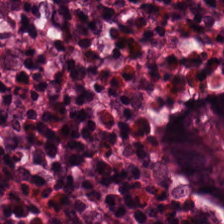H&E — This field is normal colonic mucosa.
